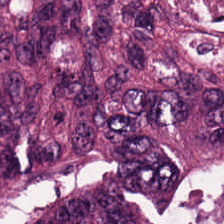H&E stain; FFPE tissue section. Impression — colorectal adenocarcinoma.
